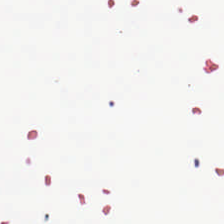Hematoxylin-and-eosin stained section — This field is background (no tissue).
